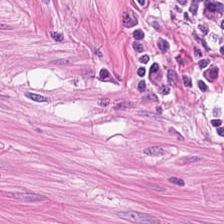H&E-stained tissue section. Tissue — muscularis.
